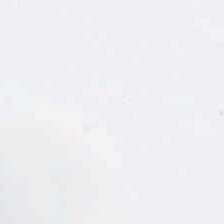Hematoxylin-and-eosin stained section. 0.5 microns per pixel — Impression — background.
